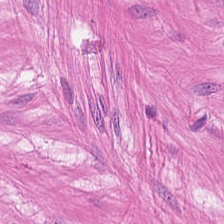Hematoxylin-and-eosin stained section. Tissue class = smooth muscle.
